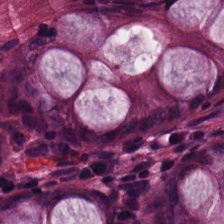Brightfield. 224×224 px tile. Hematoxylin and eosin.
The tissue class is normal colon mucosa.
